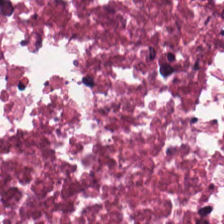Hematoxylin-and-eosin stained section — The tissue type is cellular debris.
